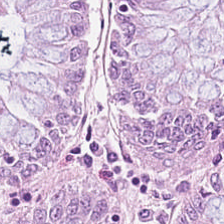Impression → non-neoplastic colon mucosa.
